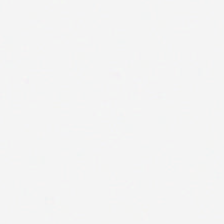Content — background.
